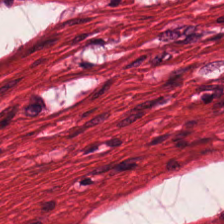H&E-stained tissue section — Tissue type: smooth muscle.
